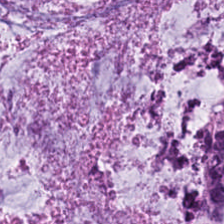0.5 µm/px · 224×224 px tile · H&E. The predominant tissue is mucus.
